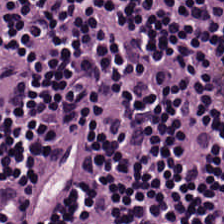Impression → lymphocytic infiltrate.
